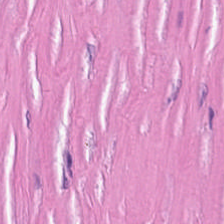H&E — This field is cancer-associated stroma.
